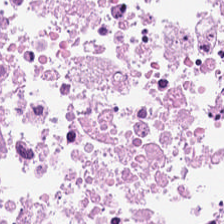Whole-slide-image patch; hematoxylin and eosin — Q: What tissue is shown?
A: The field shows necrotic debris.
